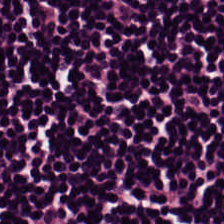Histology — lymphoid infiltrate.
